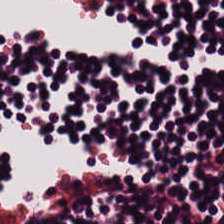Stain: hematoxylin and eosin.
Tissue type: lymphocyte aggregate.
